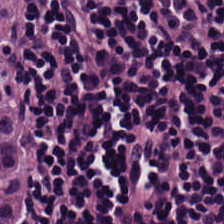Hematoxylin and eosin — Classification: lymphocytic infiltrate.
